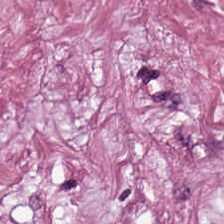Stain: hematoxylin-and-eosin stained section.
Classification: desmoplastic stroma.
